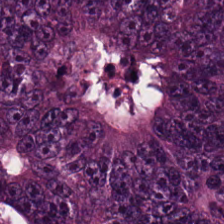FFPE tissue section. H&E — Predominant tissue — tumor epithelium.
